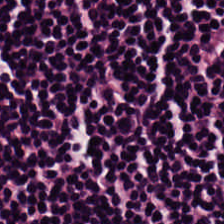Brightfield microscopy · hematoxylin and eosin · FFPE. Predominantly lymphoid infiltrate.
